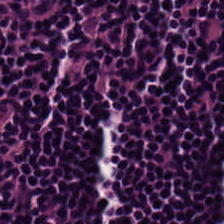Hematoxylin and eosin — This patch shows lymphoid infiltrate.
